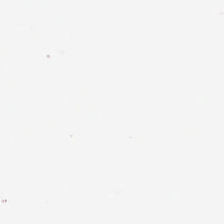Whole-slide-image patch; hematoxylin and eosin. No tissue present; background only.
